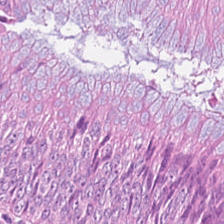H&E-stained tissue section — Impression → adenocarcinoma.
